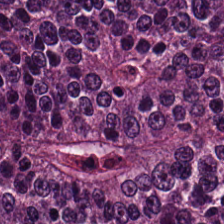H&E.
The tissue here is malignant epithelium.
